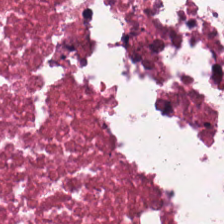Stain: H&E-stained tissue section.
Preparation: FFPE.
Tissue type: debris.
